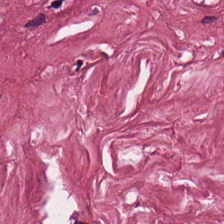The tissue type is tumor-associated stroma.
